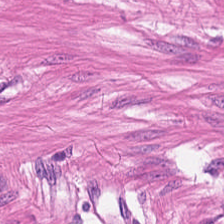H&E-stained tissue section — Classification — muscularis.
